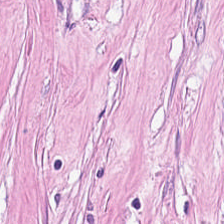Hematoxylin and eosin — This patch shows desmoplastic stroma.
